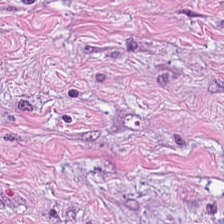The tissue class is desmoplastic stroma.
